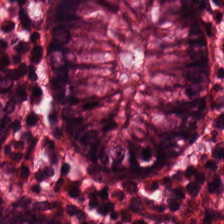Hematoxylin-and-eosin stained section. Q: What is shown in this field?
A: This is non-neoplastic colon mucosa.
